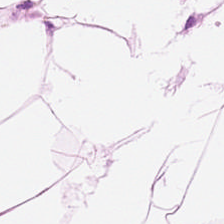Stain: H&E.
Tissue type: adipose.
